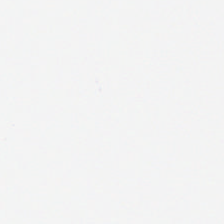No tissue present; background only.
